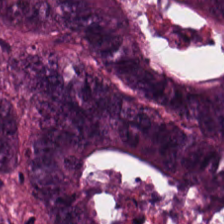20× equivalent magnification · H&E stain.
Colorectal adenocarcinoma.
